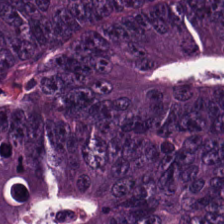H&E stain; formalin-fixed paraffin-embedded section — Predominant tissue: malignant epithelium.
